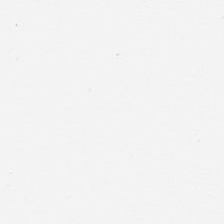H&E stain — No tissue present; background only.
